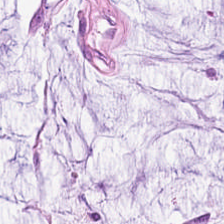0.5 µm/px; hematoxylin-and-eosin stained section; formalin-fixed paraffin-embedded section. Histology — mucin.
